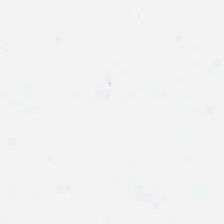Stain: H&E stain.
Preparation: formalin-fixed paraffin-embedded section.
Classification: background (no tissue).
